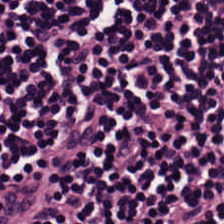H&E-stained tissue section · 224×224 px tile — The tissue here is lymphocytic infiltrate.
